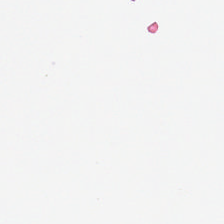Hematoxylin and eosin. Formalin-fixed paraffin-embedded section — No tissue.
